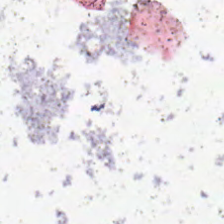Background — no tissue in this field.
